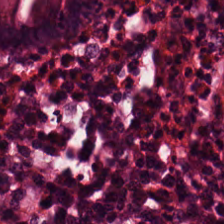Stain: hematoxylin-and-eosin stained section.
Tissue class: benign colonic mucosa.
